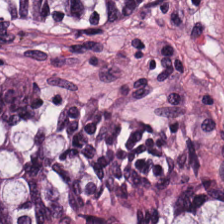H&E; 224×224 px tile — This patch shows normal colon mucosa.
